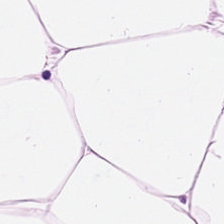H&E. 20× equivalent magnification. Q: What type of tissue is this?
A: Adipose.
